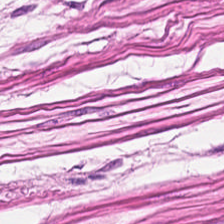Tissue — muscularis.
